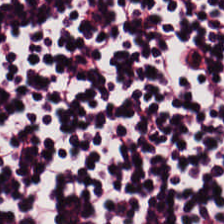Finding → lymphocytic infiltrate.
